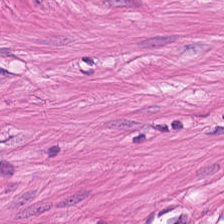H&E stain.
The predominant tissue is smooth muscle.
